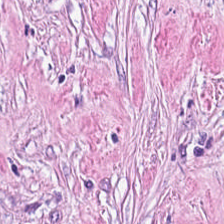The tissue is cancer-associated stroma.
